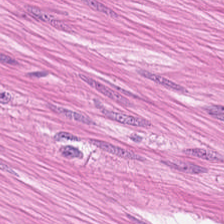Stain: H&E stain.
Tissue class: smooth-muscle tissue.
